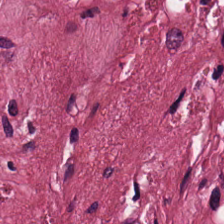Formalin-fixed paraffin-embedded section · H&E — Q: Classify this patch.
A: It is tumor-associated stroma.
